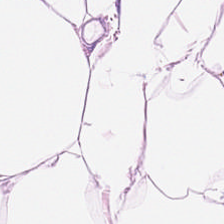0.5 µm/px; H&E-stained tissue section — Q: What tissue type is shown here?
A: The field shows fat tissue.
